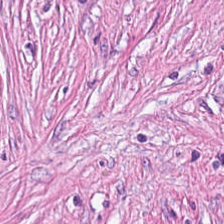Hematoxylin and eosin · whole-slide-image patch — The predominant tissue is cancer-associated stroma.
